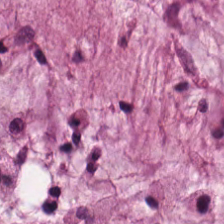H&E-stained tissue section. Q: Identify the tissue.
A: It is extracellular mucin.
